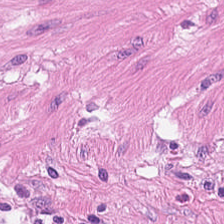Tissue = muscularis.
